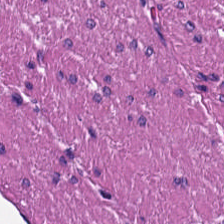This field is smooth muscle.
